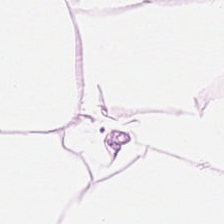Showing fat tissue.
